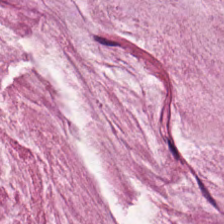H&E-stained tissue section.
This field is extracellular mucin.
